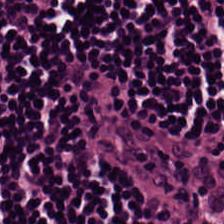0.5 µm per pixel; hematoxylin and eosin; 224×224 px tile — Predominant tissue: lymphocytic infiltrate.
